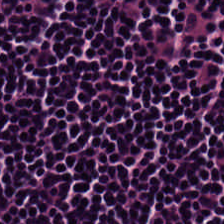H&E; brightfield microscopy — {"tissue_type": "lymphocytes"}
